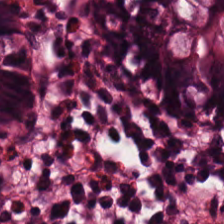Tissue = normal colonic mucosa.
